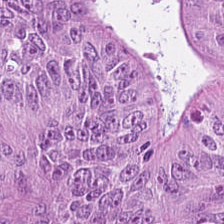The tissue type is malignant epithelium.
